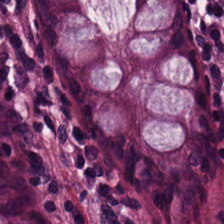Stain: hematoxylin and eosin.
Tile size: 224×224 pixel tile.
Classification: normal colon mucosa.
